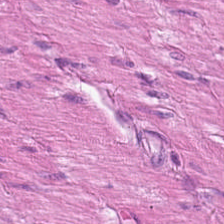Tissue type: muscularis.
